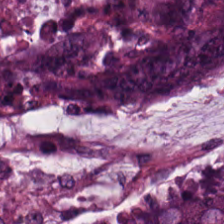H&E stain. 224×224 px tile — Impression → malignant epithelium.
